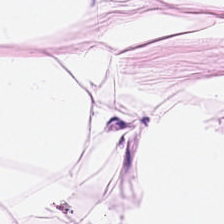224×224 px patch. H&E-stained tissue section. Predominantly adipose tissue.
